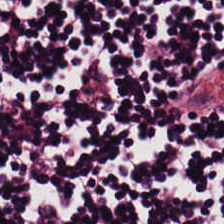Stain: H&E stain.
Predominant tissue: lymphocytic infiltrate.
